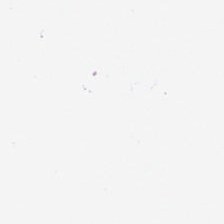Hematoxylin and eosin — This field is background (no tissue).
